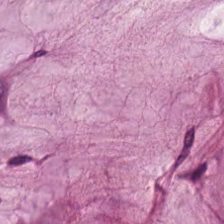Stain: hematoxylin-and-eosin stained section.
Preparation: formalin-fixed paraffin-embedded section.
Tissue class: extracellular mucin.
